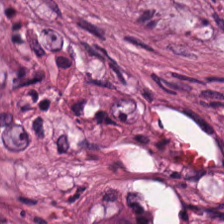H&E-stained tissue section — Tissue = necrotic debris.
